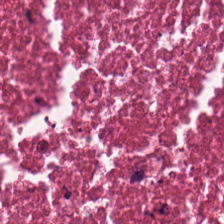The tissue here is necrotic debris.
